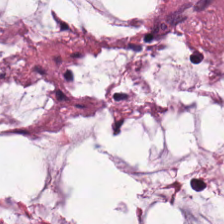0.5 µm/px; H&E-stained tissue section — Classification — extracellular mucin.
